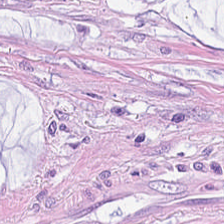Brightfield · H&E-stained tissue section. The tissue class is mucin.
